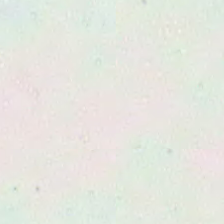H&E stain; 0.5 microns per pixel; brightfield.
Classification — background (no tissue).
